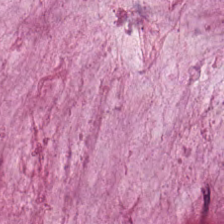Tissue = mucin.
